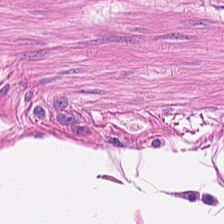Stain: H&E-stained tissue section.
Tissue class: smooth-muscle tissue.
